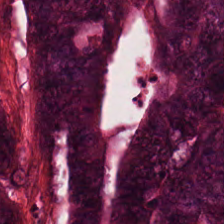H&E-stained tissue section. Classification = colorectal adenocarcinoma epithelium.
